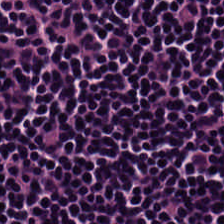0.5 microns per pixel. Hematoxylin and eosin. 224×224 px tile.
Predominant tissue: lymphocyte aggregate.
